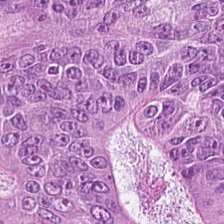Hematoxylin-and-eosin stained section; 224×224 pixel tile — Histology — malignant epithelium.
